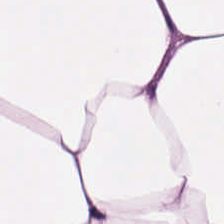224×224 px patch · hematoxylin-and-eosin stained section. The classification is adipocytes.
